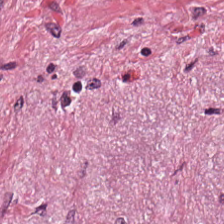Predominant tissue = tumor-associated stroma.
